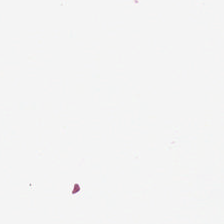H&E; whole-slide-image patch.
Histology → no tissue.
